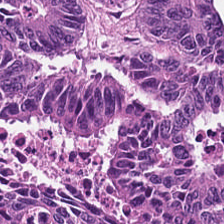H&E stain. Finding → colorectal adenocarcinoma epithelium.
